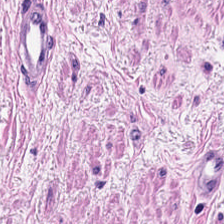H&E-stained tissue section · 224×224 px tile. This patch shows muscularis.
